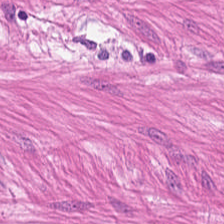Tissue class = smooth muscle.
